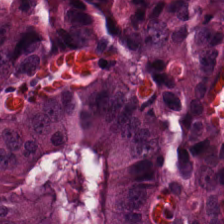20× equivalent magnification; hematoxylin-and-eosin stained section; 224×224 px tile — This patch shows colorectal adenocarcinoma epithelium.
